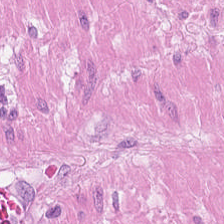Formalin-fixed paraffin-embedded section; hematoxylin-and-eosin stained section — Tissue class = muscularis.
